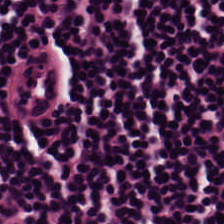H&E stain — Finding — lymphocytic infiltrate.
